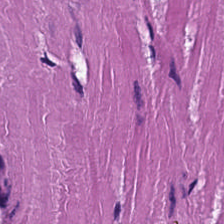Hematoxylin and eosin.
Predominant tissue: smooth-muscle tissue.
